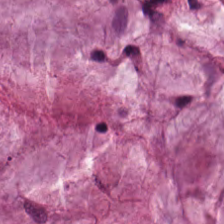20× equivalent magnification; H&E-stained tissue section — Classification: mucin.
